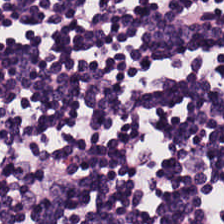Brightfield · hematoxylin-and-eosin stained section.
Q: What is shown in this field?
A: Lymphocytic infiltrate.
